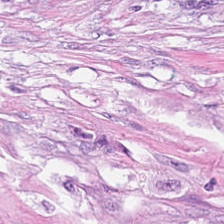Hematoxylin and eosin.
Finding — tumor stroma.
